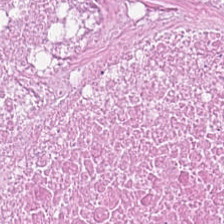Hematoxylin and eosin; 20× equivalent magnification. Classification = debris.
